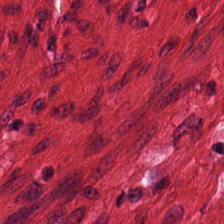Stain: H&E stain.
Tissue: muscularis.
